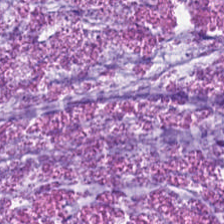H&E. {"tissue_type": "mucus"}
